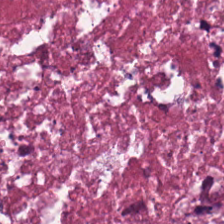Brightfield. FFPE tissue section. Hematoxylin and eosin. Q: Identify the tissue.
A: Debris.
